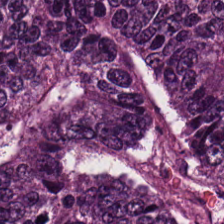H&E-stained tissue section — Classification = tumor epithelium.
